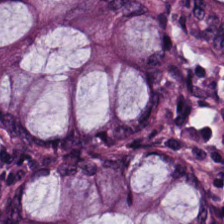Q: What type of tissue is this?
A: It is normal colon mucosa.
